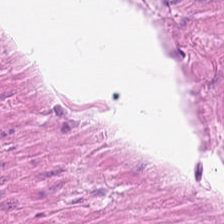20× equivalent magnification · whole-slide-image patch · H&E stain. Q: Identify the tissue.
A: Smooth muscle.
